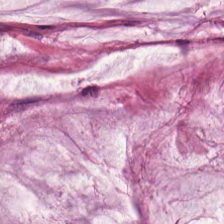Stain: H&E.
Tissue: extracellular mucin.
